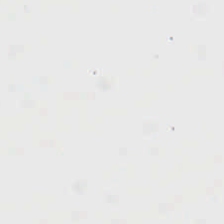0.5 µm/px; H&E-stained tissue section.
Histology — background.
